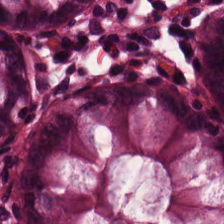Hematoxylin and eosin — Predominantly normal colon mucosa.
